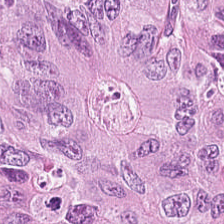H&E stain — Q: What is shown here?
A: Colorectal adenocarcinoma.
